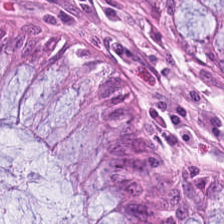H&E-stained section; the field shows benign colonic mucosa.
